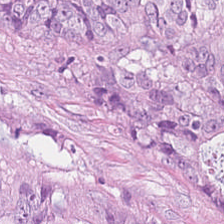Q: What does this patch show?
A: The field shows colorectal adenocarcinoma epithelium.
